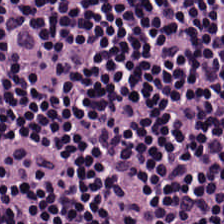Hematoxylin-and-eosin stained section — Showing lymphocytic infiltrate.
